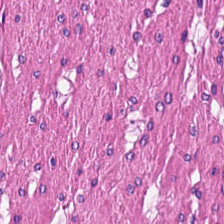H&E stain. The predominant tissue is smooth muscle.
